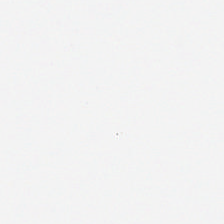H&E-stained tissue section. Empty field — background.
